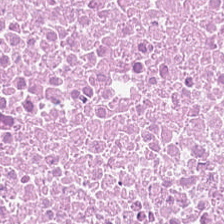Q: What is the predominant tissue type?
A: The field shows cellular debris.
